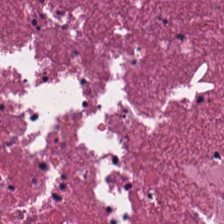Hematoxylin-and-eosin stained section.
Histology — cellular debris.
